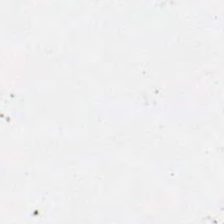Hematoxylin and eosin. Empty field — no tissue.
